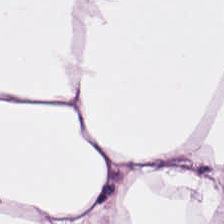This field is adipose.
